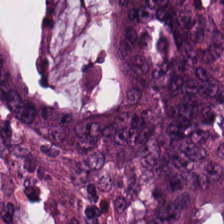Q: What does this patch show?
A: It is tumor epithelium.
